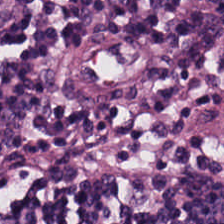H&E stain. Predominant tissue = lymphocytes.
